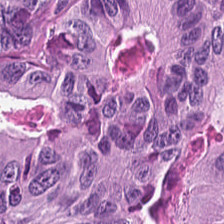Brightfield; hematoxylin-and-eosin stained section. Histology → colorectal adenocarcinoma epithelium.
